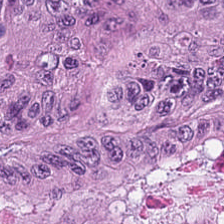H&E stain — Predominantly adenocarcinoma.
